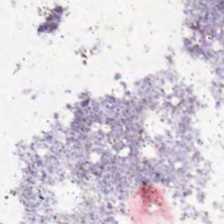Hematoxylin-and-eosin stained section. 224×224 pixel tile. Q: What is shown in this field?
A: This is no tissue.
